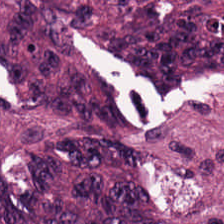H&E-stained tissue section showing colorectal adenocarcinoma epithelium.
